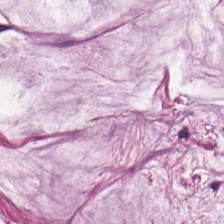Impression — mucus.
